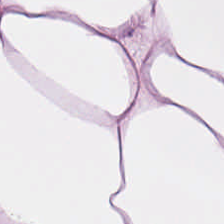Brightfield microscopy. Hematoxylin-and-eosin stained section. 0.5 µm/px — Adipocytes.
